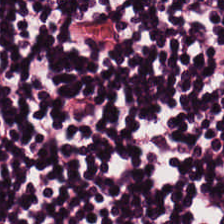Hematoxylin-and-eosin stained section. Q: Identify the tissue.
A: This is lymphoid infiltrate.
